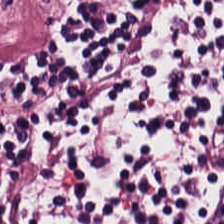H&E stain. This field is lymphocyte aggregate.
